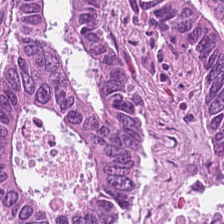Hematoxylin and eosin — Predominant tissue: adenocarcinoma.
